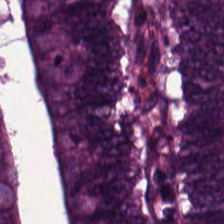Stain: H&E-stained tissue section.
Tissue type: colorectal adenocarcinoma.
